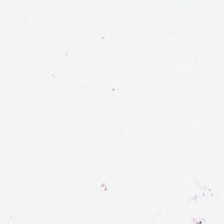H&E stain. This field is background (no tissue).
